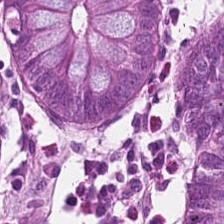Hematoxylin-and-eosin stained section; brightfield. Finding — benign colonic mucosa.
